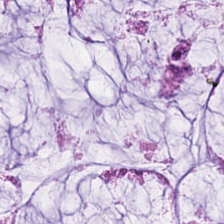H&E. Predominantly mucin.
